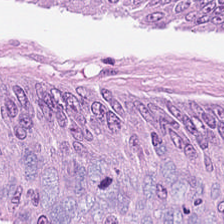Hematoxylin and eosin. {"tissue_type": "adenocarcinoma"}
